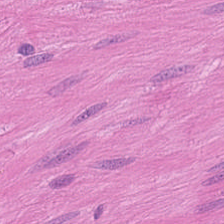Stain: H&E stain.
Classification: muscularis.
